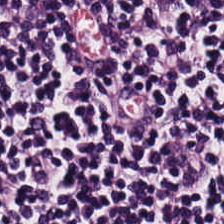H&E-stained tissue section. FFPE.
The predominant tissue is lymphocytes.
